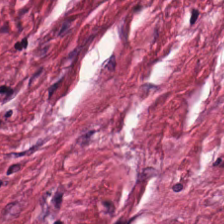H&E stain.
Q: What is the predominant tissue type?
A: It is tumor-associated stroma.
